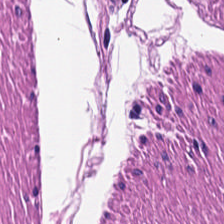FFPE; 224×224 pixel tile; H&E-stained tissue section.
Q: What is shown here?
A: This is smooth muscle.
